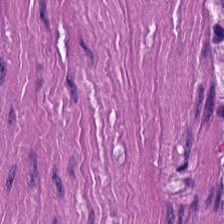224×224 px patch. H&E-stained tissue section. Whole-slide-image patch. {"tissue_type": "smooth-muscle tissue"}
